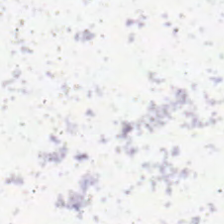H&E.
No tissue.
